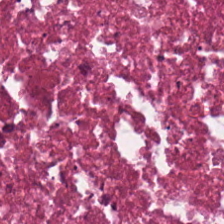H&E-stained tissue section — Tissue class — necrotic debris.
